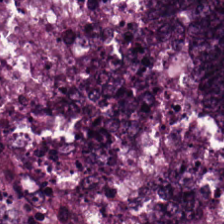Impression — tumor epithelium.
